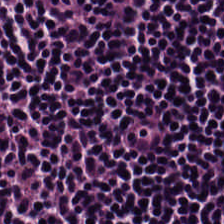Finding — lymphoid infiltrate.
